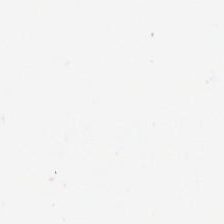H&E stain. Background — no tissue in this field.
